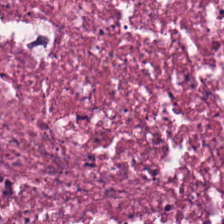H&E · 224×224 pixel tile — Q: What type of tissue is this?
A: This is necrotic debris.
